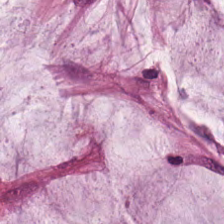H&E. Q: What is the predominant tissue type?
A: This is extracellular mucin.
